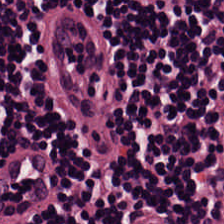Tissue — lymphocyte aggregate.
